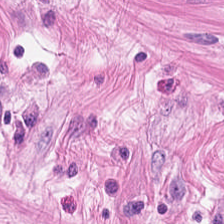H&E-stained tissue section.
The tissue here is muscularis.
